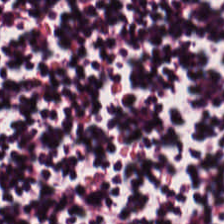Hematoxylin and eosin. FFPE tissue section. 224×224 px patch — Showing lymphoid infiltrate.
